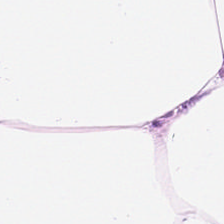20× equivalent magnification · H&E.
Q: What is the predominant tissue type?
A: This is fat tissue.
